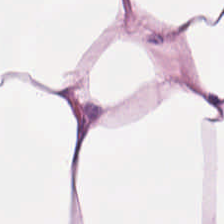Showing adipocytes.
